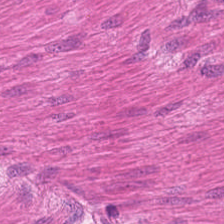Stain: H&E stain.
Tile size: 224×224 px tile.
Preparation: FFPE.
Tissue class: muscularis.
